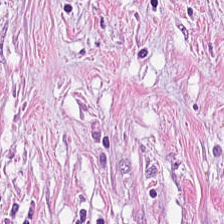H&E-stained tissue section; brightfield microscopy — The predominant tissue is tumor stroma.
